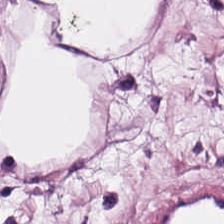H&E-stained tissue section · formalin-fixed paraffin-embedded section — Tissue class — adipose tissue.
